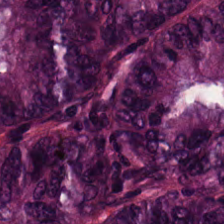H&E-stained tissue section.
Predominant tissue: colorectal adenocarcinoma.
